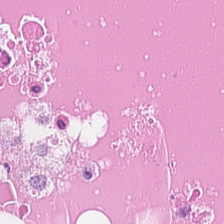H&E-stained tissue section. {"tissue_type": "debris"}
